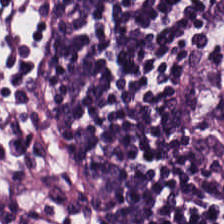Hematoxylin-and-eosin stained section · 224×224 pixel tile.
Impression — lymphocytic infiltrate.
